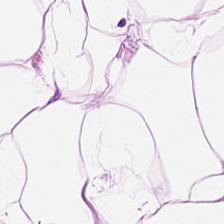The predominant tissue is adipocytes.
